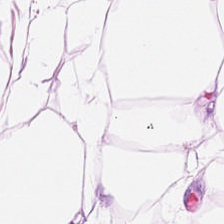Brightfield microscopy · formalin-fixed paraffin-embedded section · H&E stain. The tissue here is adipose.
